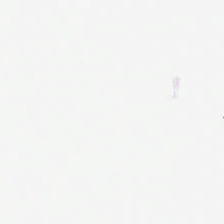Stain: H&E stain.
Content: empty background.
